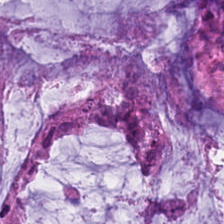Tissue type — mucus.
